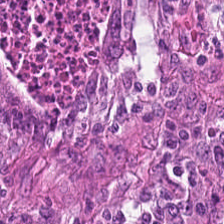Hematoxylin and eosin · 0.5 µm per pixel — The predominant tissue is colorectal adenocarcinoma epithelium.
